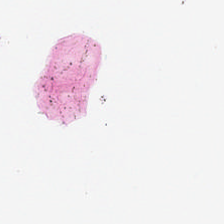The content is no tissue.
